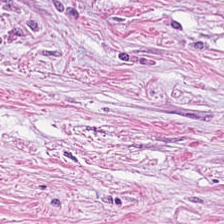Hematoxylin and eosin — Q: What is shown here?
A: It is tumor-associated stroma.
